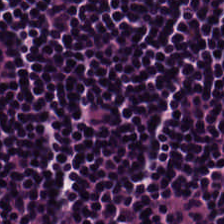H&E-stained tissue section — Q: What does this patch show?
A: The field shows lymphocytic infiltrate.
